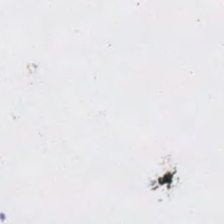224×224 px patch. Hematoxylin and eosin — Histology — empty background.
